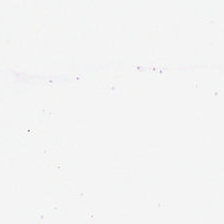H&E-stained tissue section.
Q: Classify this patch.
A: Background (no tissue).
